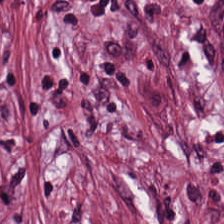Brightfield. Hematoxylin-and-eosin stained section. FFPE tissue section — Impression — tumor stroma.
